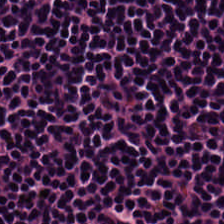224×224 pixel tile; H&E-stained tissue section. Lymphocytic infiltrate.
